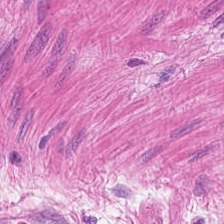FFPE · H&E-stained tissue section · 224×224 px patch.
Q: What does this patch show?
A: The field shows smooth-muscle tissue.
